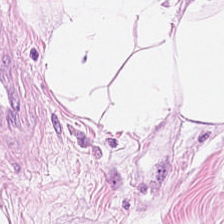Q: What type of tissue is this?
A: It is fat tissue.
